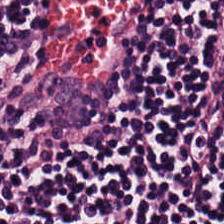Hematoxylin-and-eosin stained section; brightfield.
Showing lymphocytic infiltrate.
